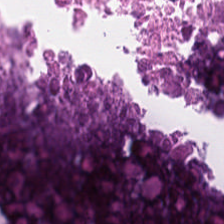Whole-slide-image patch. Hematoxylin and eosin — The tissue class is necrotic debris.
